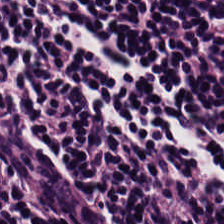H&E stain.
Showing lymphocytes.
